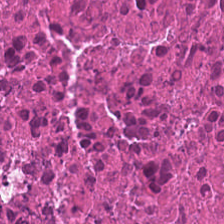This patch shows cellular debris.
